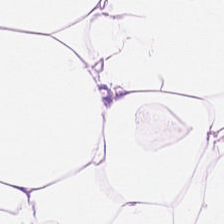Hematoxylin and eosin — Q: What tissue type is shown here?
A: The field shows adipose.
